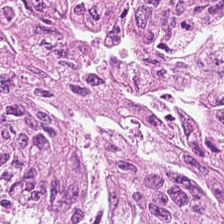Q: Classify this patch.
A: The field shows colorectal adenocarcinoma epithelium.
